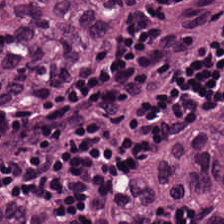20× equivalent magnification. 224×224 px tile. H&E.
Predominant tissue: tumor epithelium.
